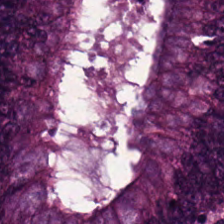Hematoxylin-and-eosin stained section.
This patch shows colorectal adenocarcinoma.
